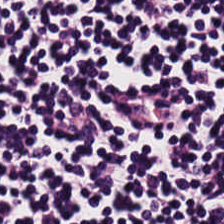Hematoxylin-and-eosin stained section. Impression — lymphocyte aggregate.
